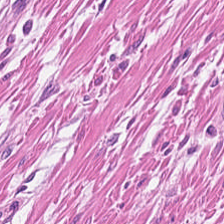224×224 px tile. H&E-stained tissue section. Smooth muscle.
